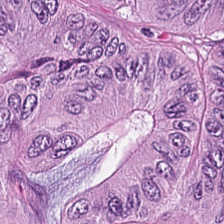Hematoxylin-and-eosin stained section — Showing colorectal adenocarcinoma.
